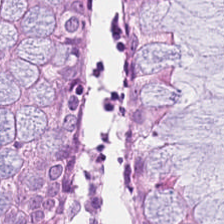0.5 microns per pixel; H&E — Showing normal colon mucosa.
